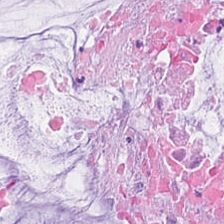Predominantly mucin.
